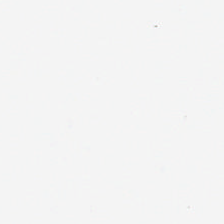The field content is no tissue.
